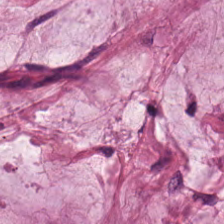224×224 pixel tile. Hematoxylin and eosin — The tissue is extracellular mucin.
